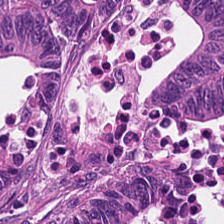FFPE tissue section · hematoxylin and eosin.
This patch shows adenocarcinoma.
